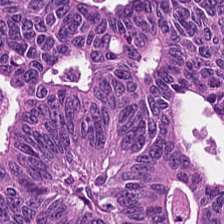Hematoxylin-and-eosin stained section — This field is tumor epithelium.
